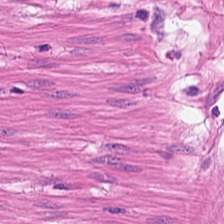Stain: hematoxylin-and-eosin stained section.
Tile size: 224×224 pixel tile.
Classification: smooth-muscle tissue.
